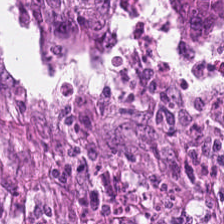H&E.
This patch shows colorectal adenocarcinoma.
